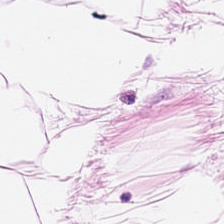Brightfield. Hematoxylin-and-eosin stained section. 224×224 px tile.
Q: What type of tissue is this?
A: The field shows fat tissue.
